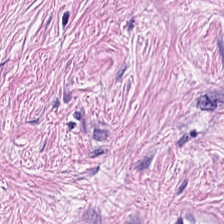Stain: hematoxylin-and-eosin stained section.
Tissue: tumor-associated stroma.
